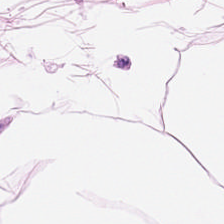Q: What type of tissue is this?
A: The field shows fat tissue.
